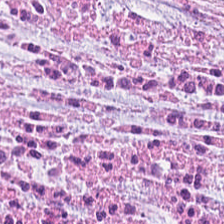20× equivalent magnification; H&E; whole-slide-image patch — The predominant tissue is cancer-associated stroma.
